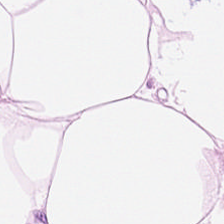Hematoxylin and eosin · 224×224 px patch · formalin-fixed paraffin-embedded section — This patch shows adipose.
